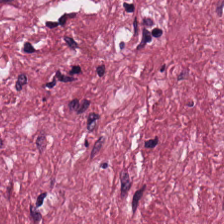Hematoxylin-and-eosin stained section. Tissue type = tumor stroma.
